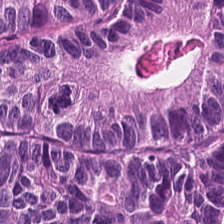H&E-stained tissue section · formalin-fixed paraffin-embedded section. Tissue class = colorectal adenocarcinoma epithelium.
